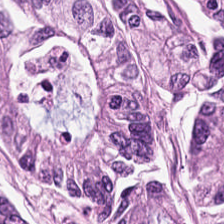Stain: H&E stain.
Predominant tissue: colorectal adenocarcinoma.
